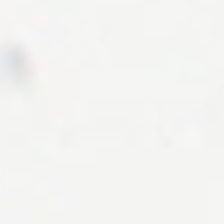WSI patch · 0.5 µm/px · hematoxylin and eosin — The field content is empty background.
